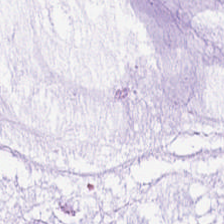Hematoxylin and eosin.
The tissue is mucin.
